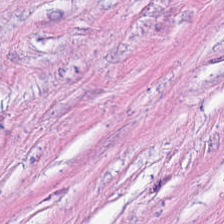Hematoxylin and eosin.
{"tissue_type": "tumor-associated stroma"}
